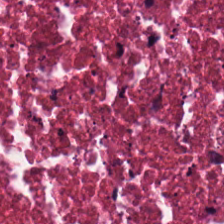The tissue is cellular debris.
